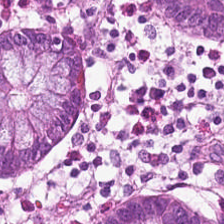Stain: hematoxylin and eosin.
Classification: benign colonic mucosa.
